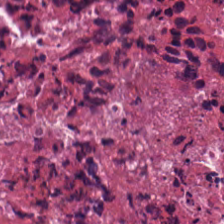H&E — Q: What type of tissue is this?
A: It is necrotic debris.
